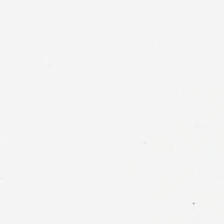224×224 px patch · WSI patch · H&E-stained tissue section.
Q: Classify this patch.
A: The field shows background.
